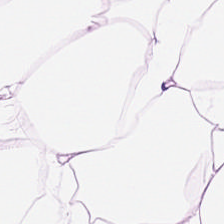Hematoxylin-and-eosin stained section. Q: What is shown in this field?
A: The field shows adipocytes.
